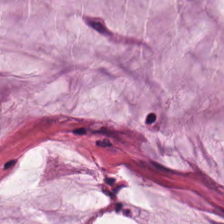Stain: H&E stain.
Tissue: mucin.
